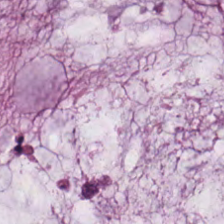H&E stain.
Mucus.
